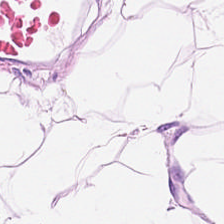Hematoxylin and eosin. FFPE tissue section — This patch shows fat tissue.
